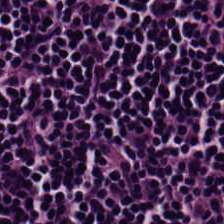224×224 px tile · H&E stain · formalin-fixed paraffin-embedded section — Finding → lymphocytes.
